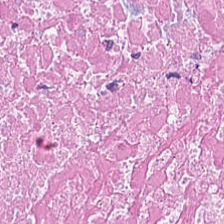Hematoxylin-and-eosin stained section.
Q: What does this patch show?
A: It is necrotic debris.
